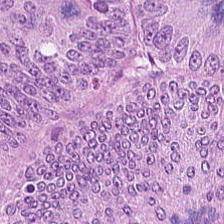H&E stain; formalin-fixed paraffin-embedded section. Classification — tumor epithelium.
